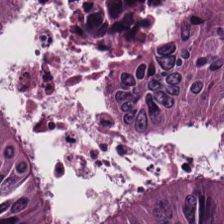H&E — Impression — malignant epithelium.
